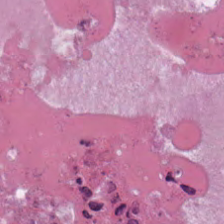Predominantly cellular debris.
